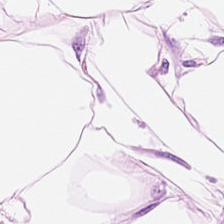Stain: hematoxylin-and-eosin stained section.
Tissue: adipose tissue.
